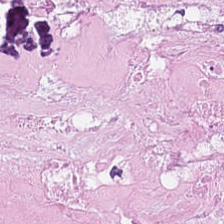20× equivalent magnification; H&E-stained tissue section; brightfield. Tissue type: necrotic debris.
